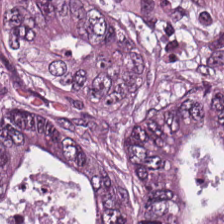224×224 px patch · hematoxylin and eosin. Q: What type of tissue is this?
A: Colorectal adenocarcinoma.
